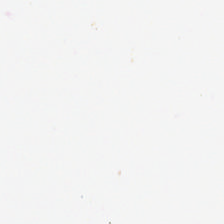No tissue present; background only.
